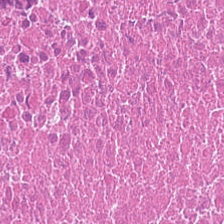H&E-stained tissue section · formalin-fixed paraffin-embedded section. This field is cellular debris.
